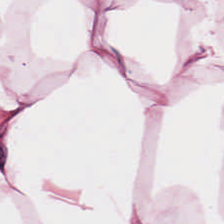Formalin-fixed paraffin-embedded section; 0.5 µm per pixel; H&E stain — Classification — adipose tissue.
